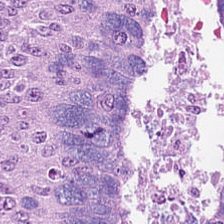H&E — colorectal adenocarcinoma.
